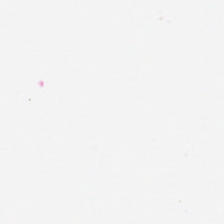Hematoxylin and eosin. No tissue present; background only.
